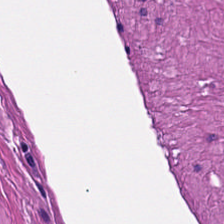H&E-stained tissue section · 224×224 pixel tile. Showing smooth-muscle tissue.
